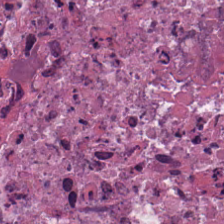H&E stain.
{"tissue_type": "cellular debris"}
